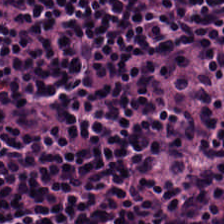Histology — lymphocytic infiltrate.
